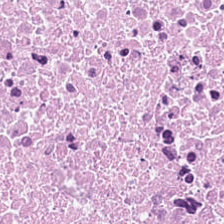Hematoxylin-and-eosin stained section · brightfield — Cellular debris.
